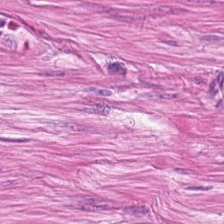Hematoxylin and eosin.
Finding → muscularis.
